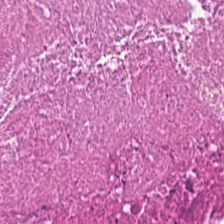Hematoxylin and eosin. Cellular debris.
